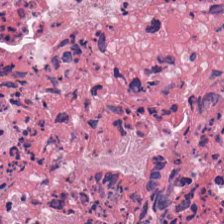The tissue is debris.
